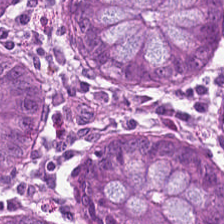FFPE tissue section · 0.5 µm per pixel · H&E — The classification is non-neoplastic colon mucosa.
